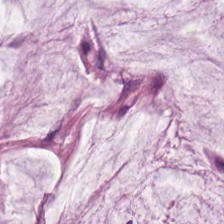Stain: H&E.
Tile size: 224×224 pixel tile.
Acquisition: WSI patch.
Tissue type: mucus.
